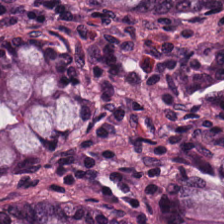Hematoxylin and eosin. Brightfield.
The tissue here is benign colonic mucosa.
